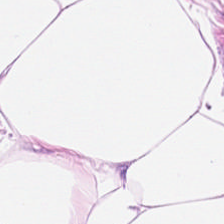20× equivalent magnification; H&E; WSI patch. {"tissue_type": "fat tissue"}
